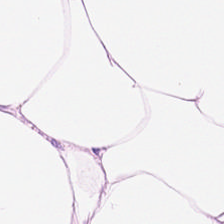H&E; 224×224 pixel tile.
This field is adipose tissue.
